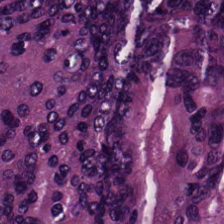WSI patch. H&E. {"tissue_type": "colorectal adenocarcinoma epithelium"}
